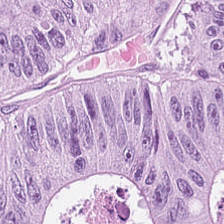H&E; 20× equivalent magnification — Q: What is shown in this field?
A: It is tumor epithelium.
